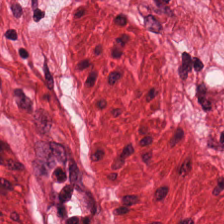Predominant tissue — muscularis.
